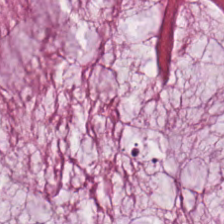Hematoxylin-and-eosin stained section. Showing mucus.
